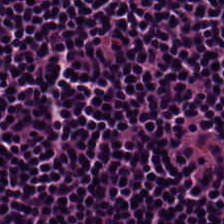FFPE; H&E; 0.5 µm/px.
{"tissue_type": "lymphoid infiltrate"}
